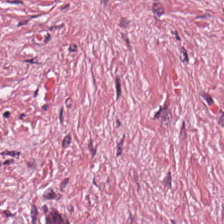H&E-stained tissue section; FFPE.
Classification: desmoplastic stroma.
